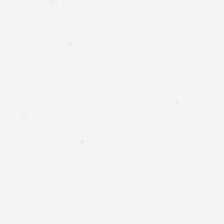H&E-stained tissue section — The content is background (no tissue).
